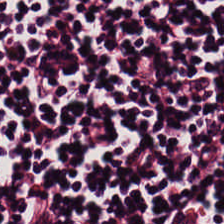Tissue type = lymphocytes.
